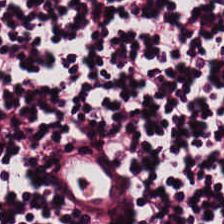Tissue type — lymphocytic infiltrate.
